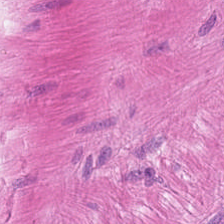Hematoxylin and eosin.
Predominant tissue = smooth-muscle tissue.
